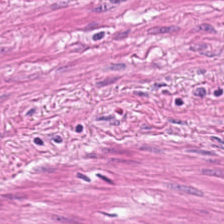Tissue class: smooth-muscle tissue.
